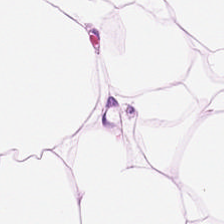H&E stain.
{"tissue_type": "fat tissue"}
